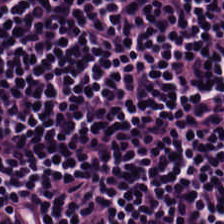H&E-stained tissue section — Q: What type of tissue is this?
A: This is lymphocytic infiltrate.
